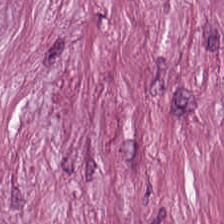H&E.
Tissue: tumor-associated stroma.
